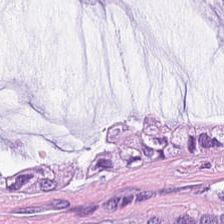H&E-stained tissue section. 224×224 px tile.
Classification = mucus.
